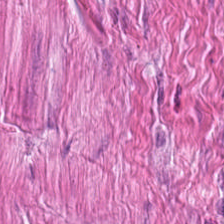H&E. This patch shows smooth muscle.
